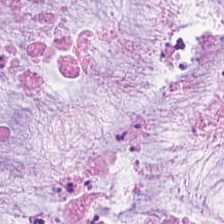H&E stain; 224×224 pixel tile — Finding → mucus.
